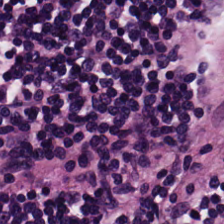WSI patch · H&E-stained tissue section · 224×224 pixel tile. Tissue type = lymphoid infiltrate.
